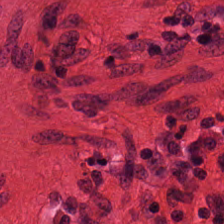H&E stain — The predominant tissue is smooth muscle.
